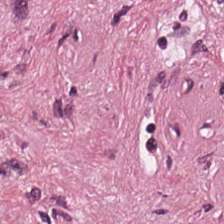Hematoxylin-and-eosin section: tumor-associated stroma.
